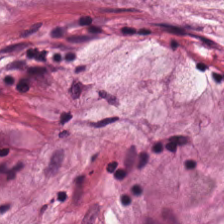Whole-slide-image patch. H&E-stained tissue section. The predominant tissue is mucin.
